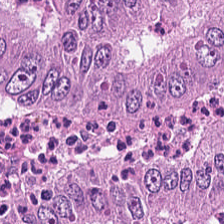Tissue class — adenocarcinoma.
